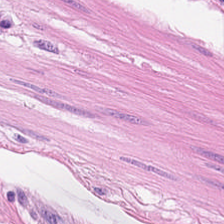Tissue type = smooth-muscle tissue.
